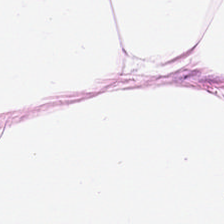H&E-stained tissue section.
Finding — adipocytes.
